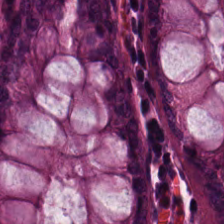H&E stain. FFPE tissue section — Predominantly normal colon mucosa.
